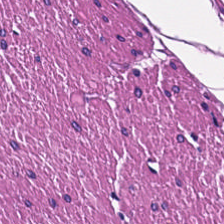Hematoxylin-and-eosin stained section. Brightfield microscopy — Smooth-muscle tissue.
